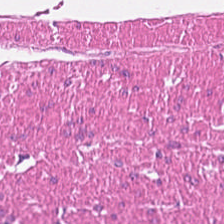Stain: H&E stain.
Resolution: 0.5 µm/px.
Predominant tissue: smooth muscle.
